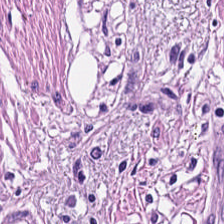H&E.
Q: What is shown in this field?
A: The field shows smooth-muscle tissue.
